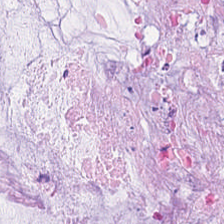Stain: H&E-stained tissue section.
Tissue: extracellular mucin.
